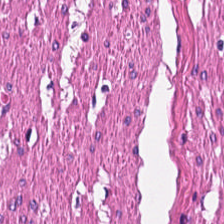H&E — smooth-muscle tissue.
